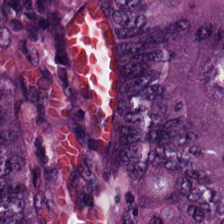H&E-stained tissue section; FFPE. Q: What is shown in this field?
A: The field shows colorectal adenocarcinoma epithelium.
